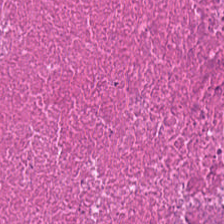224×224 px patch; H&E — {"tissue_type": "debris"}
